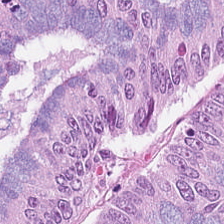Stain: hematoxylin-and-eosin stained section.
Tissue class: adenocarcinoma.
